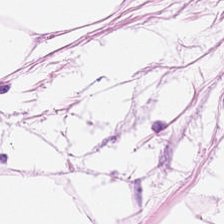H&E-stained tissue section; whole-slide-image patch; 224×224 px patch.
Classification — adipose.
